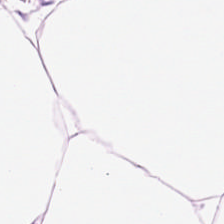Stain: H&E stain.
Classification: adipose tissue.
